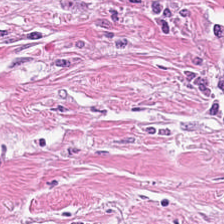0.5 microns per pixel. Hematoxylin and eosin.
Tissue: tumor stroma.
